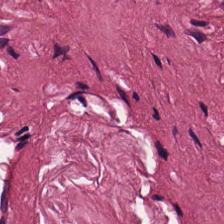FFPE. H&E. {"tissue_type": "tumor stroma"}
